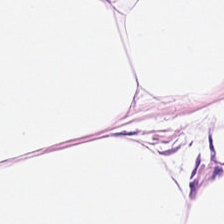H&E stain; FFPE — The predominant tissue is adipocytes.
